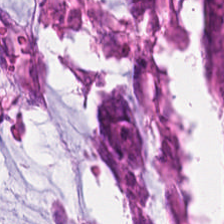The tissue type is adenocarcinoma.
